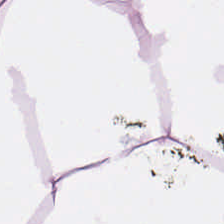H&E stain. This patch shows adipocytes.
